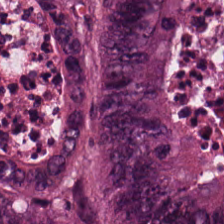Stain: H&E stain.
Predominant tissue: adenocarcinoma.
